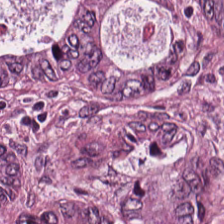Hematoxylin and eosin. FFPE — {"tissue_type": "malignant epithelium"}
